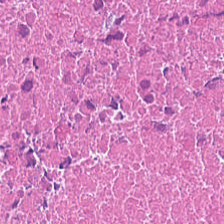Stain: hematoxylin-and-eosin stained section.
Predominant tissue: necrotic debris.
